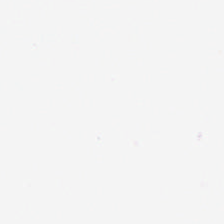Q: What is shown in this field?
A: No tissue.
